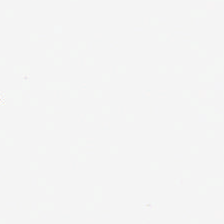H&E stain — No tissue present; background only.
